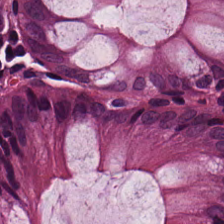Hematoxylin-and-eosin stained section.
The classification is non-neoplastic colon mucosa.
